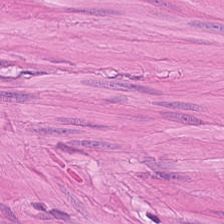224×224 px tile · H&E stain.
Tissue class: muscularis.
